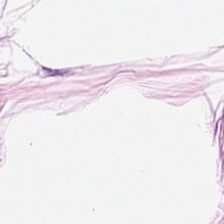H&E stain. 0.5 microns per pixel.
The tissue type is adipose tissue.
